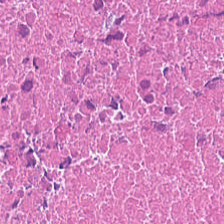{"tissue_type": "debris"}
